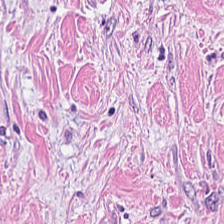Hematoxylin-and-eosin section: tumor-associated stroma.
